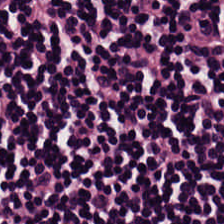0.5 µm/px. Hematoxylin and eosin. FFPE tissue section.
{"tissue_type": "lymphocyte aggregate"}
